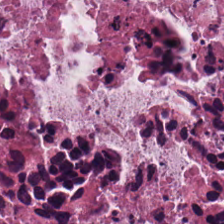0.5 µm/px; hematoxylin and eosin — Impression — cellular debris.
